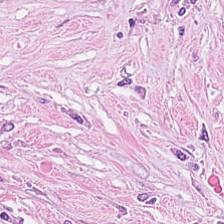H&E-stained tissue section.
The tissue here is tumor-associated stroma.
